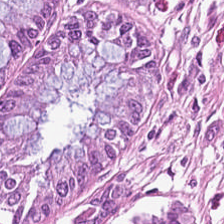Stain: H&E stain.
Predominant tissue: benign colonic mucosa.
